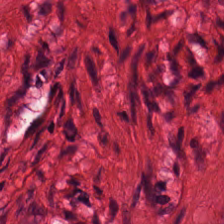Stain: hematoxylin and eosin.
Predominant tissue: smooth muscle.
